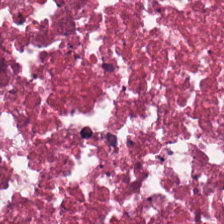Tissue class = necrotic debris.
